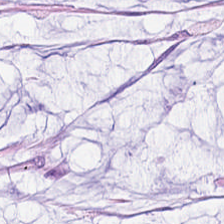H&E stain · FFPE. Tissue class: mucin.
